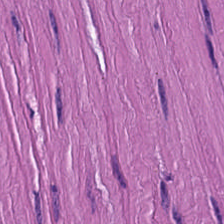H&E-stained tissue section.
Tissue = smooth muscle.
